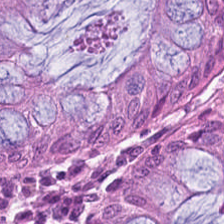H&E-stained tissue section — Impression → normal colon mucosa.
